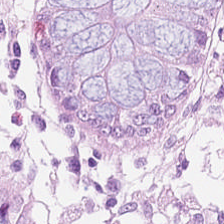Stain: hematoxylin-and-eosin stained section.
Tissue type: normal colon mucosa.
